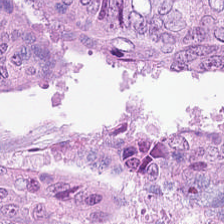Adenocarcinoma.
